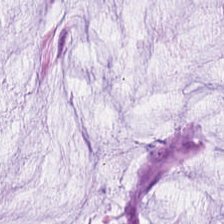Impression — mucus.
